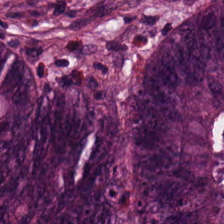H&E stain. The predominant tissue is colorectal adenocarcinoma epithelium.
